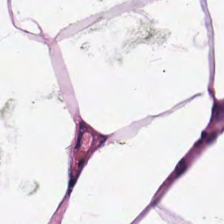Stain: hematoxylin-and-eosin stained section.
Tile size: 224×224 px patch.
Acquisition: whole-slide-image patch.
Tissue: adipose tissue.
